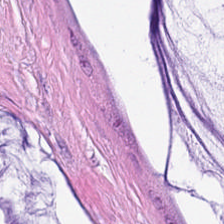Hematoxylin and eosin.
Tissue = mucus.
